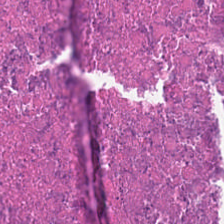Showing cellular debris.
